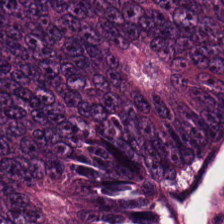Stain: H&E-stained tissue section.
Preparation: formalin-fixed paraffin-embedded section.
Resolution: 0.5 microns per pixel.
Classification: tumor epithelium.
